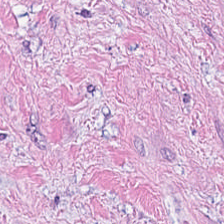Hematoxylin and eosin. The tissue here is cancer-associated stroma.
